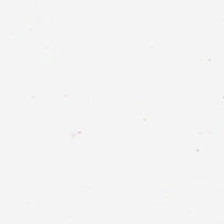H&E-stained tissue section — Background (no tissue).
